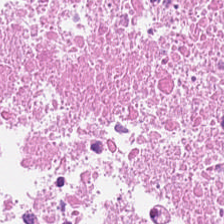Stain: H&E.
Preparation: formalin-fixed paraffin-embedded section.
Resolution: 0.5 microns per pixel.
Tissue: debris.
